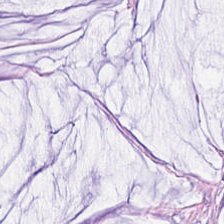Hematoxylin-and-eosin stained section. Predominantly mucin.
